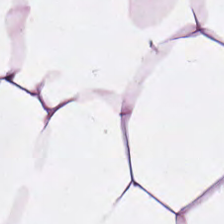Hematoxylin-and-eosin stained section. Formalin-fixed paraffin-embedded section.
Histology → adipocytes.
